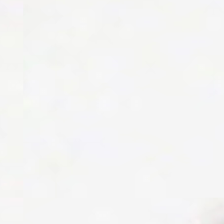H&E-stained tissue section.
Field content — empty background.
